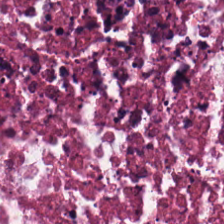Stain: hematoxylin-and-eosin stained section.
Tissue type: cellular debris.
